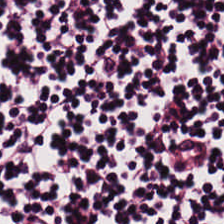Predominantly lymphocytes.
